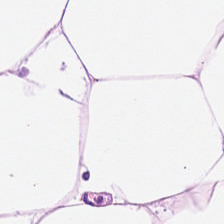Tissue class = adipocytes.
